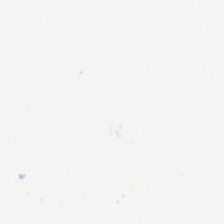H&E-stained tissue section — The content is empty background.
